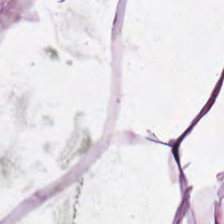Hematoxylin and eosin. 0.5 µm per pixel — This patch shows fat tissue.
